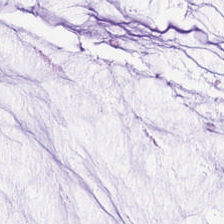Tissue = mucus.
